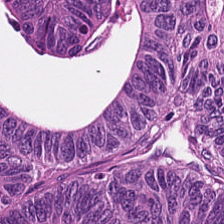Tissue class = adenocarcinoma.
